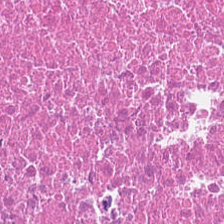Stain: H&E stain.
Classification: necrotic debris.
